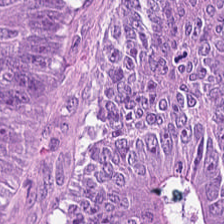Stain: hematoxylin-and-eosin stained section.
Tissue: colorectal adenocarcinoma epithelium.
